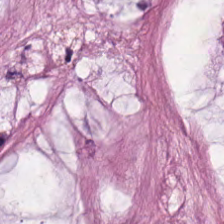H&E stain. Q: What tissue type is shown here?
A: This is extracellular mucin.
